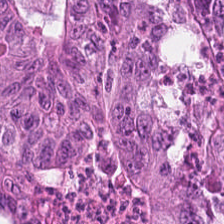Stain: H&E stain.
Classification: colorectal adenocarcinoma epithelium.
